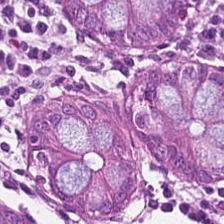Stain: H&E stain.
Classification: normal colonic mucosa.
